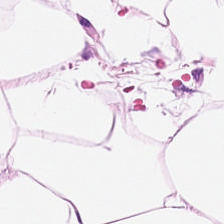Q: What type of tissue is this?
A: The field shows adipose.
